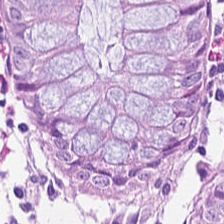Stain: H&E.
Predominant tissue: benign colonic mucosa.
